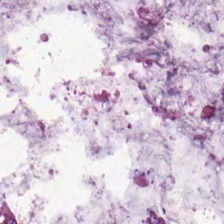Hematoxylin-and-eosin stained section; brightfield microscopy; 224×224 pixel tile — The predominant tissue is mucin.
